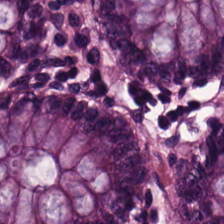Finding → normal colon mucosa.
